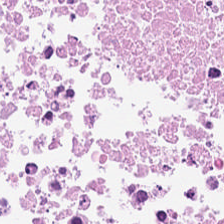H&E; whole-slide-image patch — Debris.
